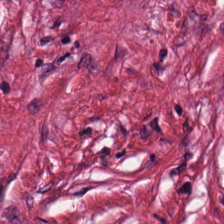Hematoxylin and eosin — Tissue type — desmoplastic stroma.
